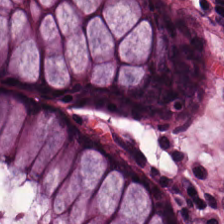H&E-stained tissue section · 0.5 microns per pixel.
Non-neoplastic colon mucosa.
